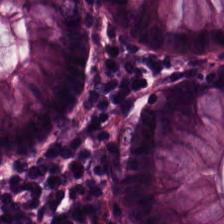Tissue type = non-neoplastic colon mucosa.
